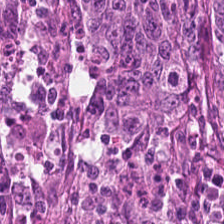H&E-stained tissue section · brightfield microscopy · formalin-fixed paraffin-embedded section.
The tissue is malignant epithelium.
